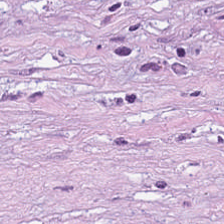Hematoxylin and eosin.
Impression — cancer-associated stroma.
